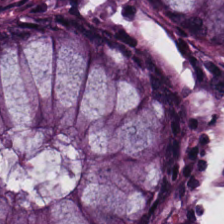H&E-stained tissue section — Benign colonic mucosa.
